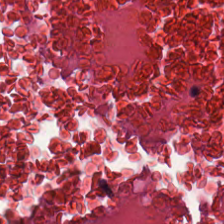Q: What type of tissue is this?
A: It is debris.
